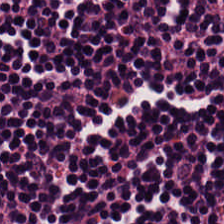224×224 px tile; hematoxylin-and-eosin stained section; brightfield. Finding → lymphocytes.
